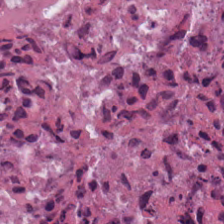H&E stain. FFPE. 224×224 px patch.
Histology → cellular debris.
